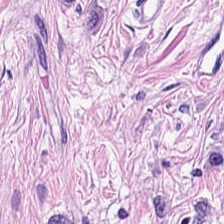H&E · 0.5 µm per pixel — Tissue type — desmoplastic stroma.
